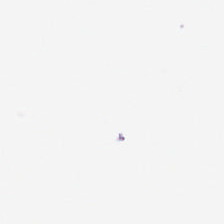H&E; 0.5 µm/px; FFPE. Q: Classify this patch.
A: This is no tissue.
